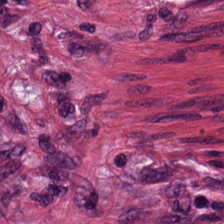H&E stain. Predominant tissue — tumor-associated stroma.
